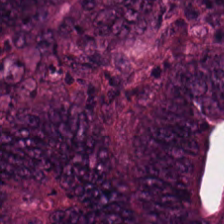H&E; 0.5 microns per pixel; 224×224 pixel tile. Tissue: tumor epithelium.
